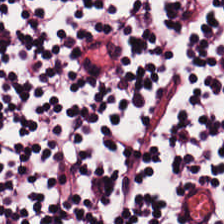H&E stain. This patch shows lymphocytic infiltrate.
